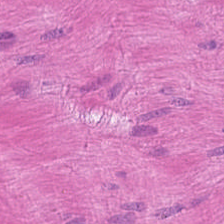The tissue type is smooth muscle.
